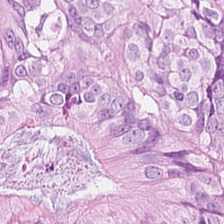FFPE · H&E stain · 224×224 pixel tile — Predominant tissue — colorectal adenocarcinoma epithelium.
